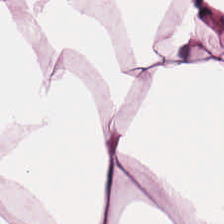H&E — Finding → adipocytes.
